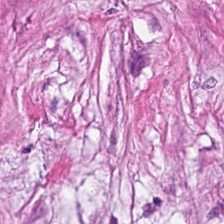224×224 px patch. Hematoxylin-and-eosin stained section — Impression — desmoplastic stroma.
